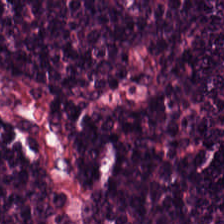FFPE tissue section. 0.5 µm/px. Hematoxylin-and-eosin stained section — Tissue type = lymphoid infiltrate.
